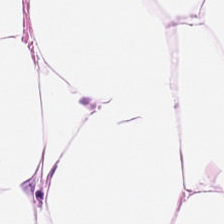H&E — adipose.
